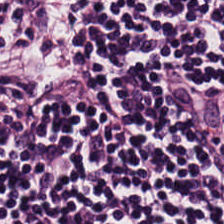H&E. {"tissue_type": "lymphocytes"}
